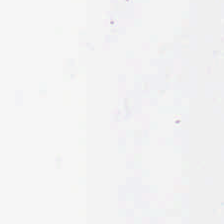FFPE tissue section · hematoxylin-and-eosin stained section · 0.5 microns per pixel — The content is no tissue.
